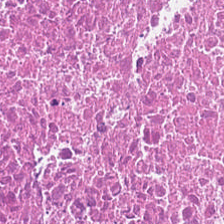FFPE; hematoxylin and eosin; 224×224 pixel tile — Finding → cellular debris.
